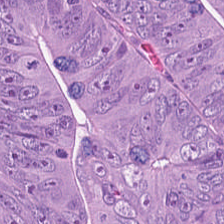Stain: H&E.
Predominant tissue: colorectal adenocarcinoma epithelium.
